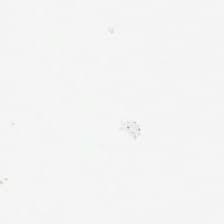Hematoxylin and eosin.
Empty field — background (no tissue).
